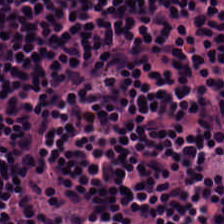Formalin-fixed paraffin-embedded section · hematoxylin and eosin. Tissue class: lymphocytic infiltrate.
